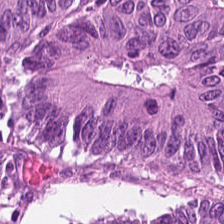Hematoxylin-and-eosin stained section. Brightfield. The tissue type is tumor epithelium.
